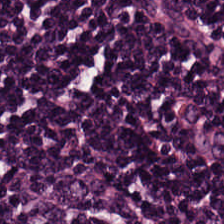H&E-stained tissue section. Predominantly lymphocytes.
